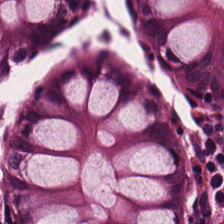The tissue is normal colon mucosa.
